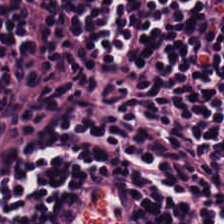H&E-stained tissue section. The classification is lymphocytic infiltrate.
